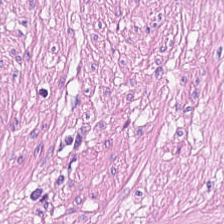0.5 µm per pixel; H&E stain — This patch shows smooth-muscle tissue.
